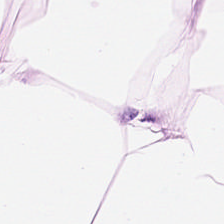{"tissue_type": "fat tissue"}
